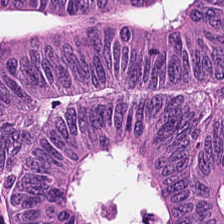Predominantly adenocarcinoma.
